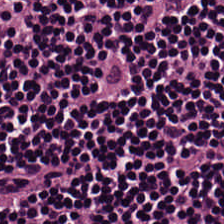H&E stain. The predominant tissue is lymphocytic infiltrate.
